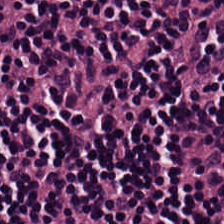Tissue = lymphocyte aggregate.
